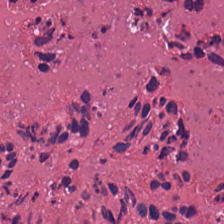H&E-stained tissue section. Showing necrotic debris.
